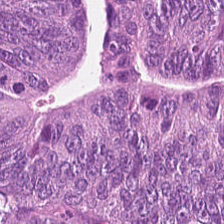224×224 px patch; hematoxylin-and-eosin stained section; brightfield microscopy.
The tissue is colorectal adenocarcinoma epithelium.
